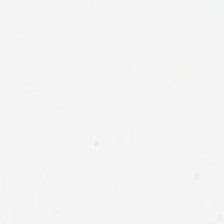H&E. Field content = background (no tissue).
